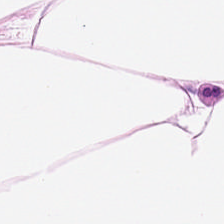Hematoxylin-and-eosin stained section — Showing adipose.
